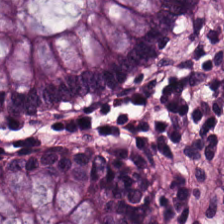Hematoxylin-and-eosin stained section. {"tissue_type": "normal colonic mucosa"}
